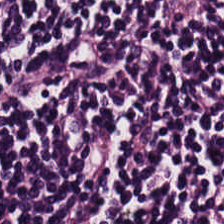Whole-slide-image patch · hematoxylin and eosin · 224×224 px tile — Showing lymphocytes.
